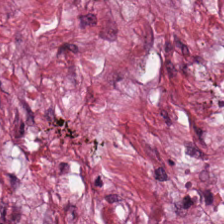Hematoxylin and eosin; 224×224 px patch. Tissue type — tumor stroma.
